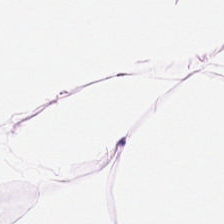H&E stain.
Q: What is shown in this field?
A: The field shows adipose.
